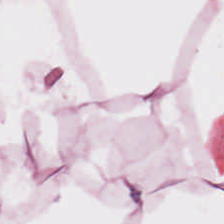H&E-stained tissue section. Q: What does this patch show?
A: Adipose tissue.
